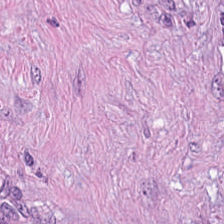0.5 µm per pixel · 224×224 pixel tile · H&E — Tissue class — tumor stroma.
